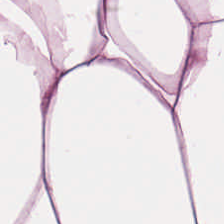Finding → adipose tissue.
